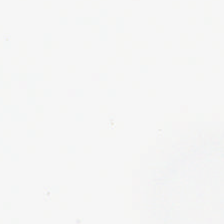0.5 microns per pixel. H&E stain. FFPE tissue section — Classification — empty background.
